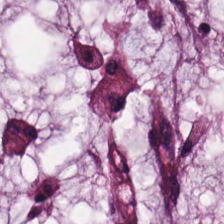Hematoxylin-and-eosin stained section. Showing mucus.
